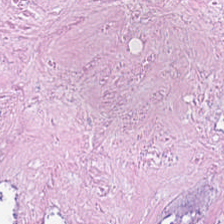H&E-stained tissue section — The predominant tissue is debris.
